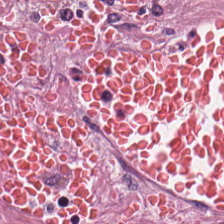Tissue: tumor-associated stroma.
